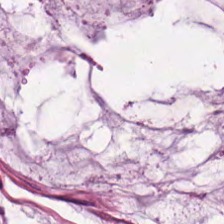Stain: hematoxylin and eosin.
Tissue type: mucin.
